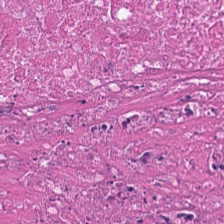0.5 µm per pixel · hematoxylin-and-eosin stained section · brightfield microscopy. Predominant tissue: cellular debris.
